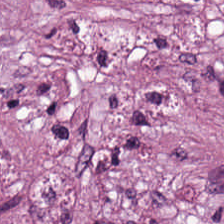Tissue = cancer-associated stroma.
